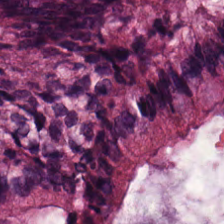Histology — normal colonic mucosa.
